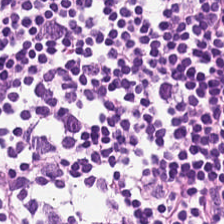Stain: hematoxylin-and-eosin stained section.
Resolution: 0.5 microns per pixel.
Preparation: FFPE.
Tissue type: lymphocytes.
